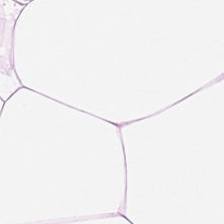H&E stain. Q: What is shown here?
A: It is adipose.
